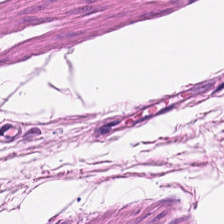0.5 µm/px. H&E. Brightfield.
Predominantly smooth muscle.
